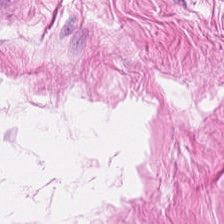H&E stain; 20× equivalent magnification — This field is muscularis.
